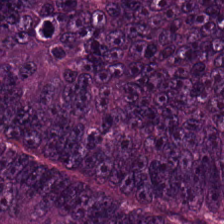Tissue class = colorectal adenocarcinoma epithelium.
